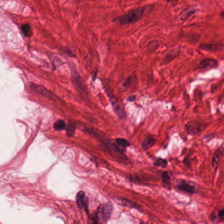Hematoxylin and eosin — Q: What is shown here?
A: The field shows smooth-muscle tissue.
